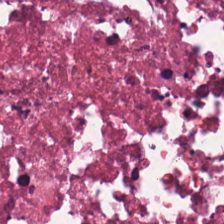H&E.
Predominantly debris.
